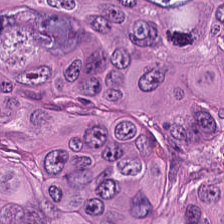H&E-stained tissue section · 224×224 px tile · formalin-fixed paraffin-embedded section.
Tissue class: adenocarcinoma.
